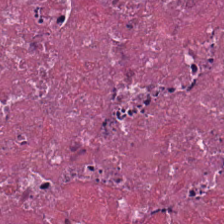H&E-stained tissue section.
Finding — debris.
